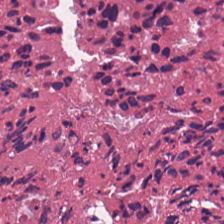H&E-stained tissue section — The predominant tissue is debris.
